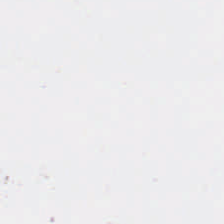FFPE tissue section · H&E.
Background — no tissue in this field.
